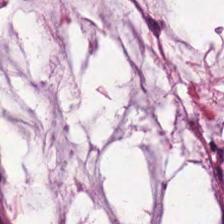H&E stain.
This field is mucin.
